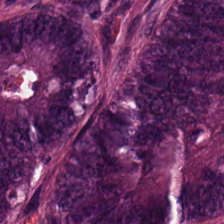H&E-stained tissue section. The predominant tissue is malignant epithelium.
